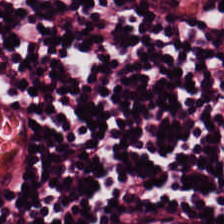Stain: hematoxylin and eosin.
Predominant tissue: lymphoid infiltrate.
